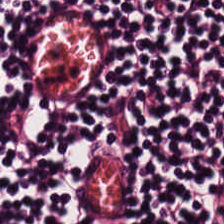The tissue here is lymphocytic infiltrate.
